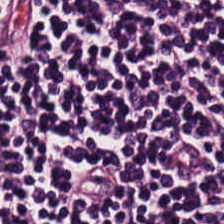Hematoxylin-and-eosin stained section — Lymphocytic infiltrate.
